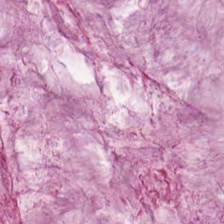Stain: H&E-stained tissue section.
Classification: mucin.
